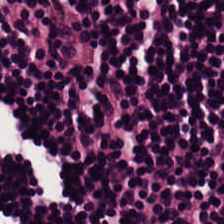Stain: hematoxylin and eosin.
Acquisition: WSI patch.
Classification: lymphocytes.
